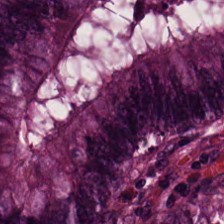224×224 px patch · 20× equivalent magnification · hematoxylin and eosin.
{"tissue_type": "normal colonic mucosa"}
